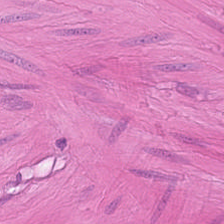Hematoxylin-and-eosin stained section. Predominant tissue: smooth-muscle tissue.
